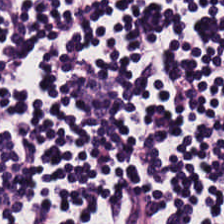This field is lymphocyte aggregate.
